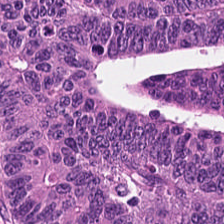H&E-stained tissue section · WSI patch · 0.5 µm/px — {"tissue_type": "colorectal adenocarcinoma epithelium"}
